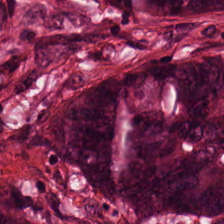Hematoxylin-and-eosin stained section · 224×224 px tile. Tissue — malignant epithelium.
